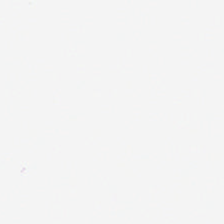Hematoxylin-and-eosin stained section — The content is background (no tissue).
